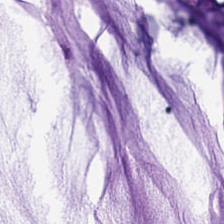Predominantly mucus.
